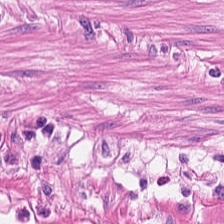Hematoxylin and eosin · FFPE · brightfield microscopy — Finding → muscularis.
